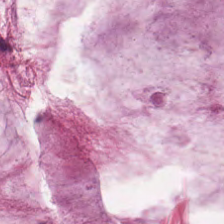H&E-stained tissue section. The predominant tissue is mucus.
